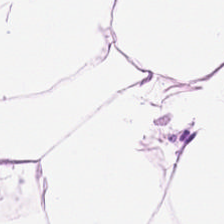Hematoxylin-and-eosin stained section; formalin-fixed paraffin-embedded section. Showing adipocytes.
